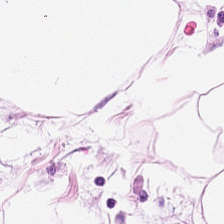Stain: hematoxylin-and-eosin stained section.
Predominant tissue: adipose.
